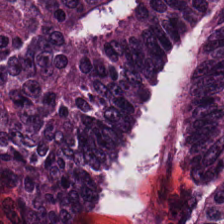H&E stain. {"tissue_type": "colorectal adenocarcinoma"}
